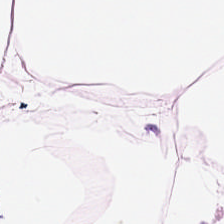Stain: H&E-stained tissue section.
Preparation: formalin-fixed paraffin-embedded section.
Tissue class: adipose.
